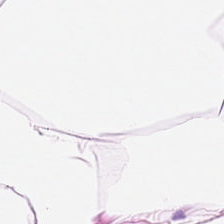This patch shows fat tissue.
